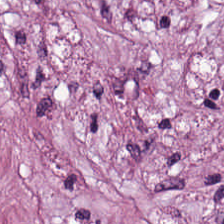H&E stain · WSI patch · 224×224 pixel tile.
Tissue type = desmoplastic stroma.
